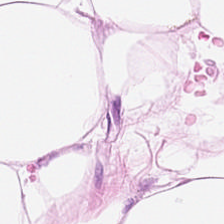H&E · formalin-fixed paraffin-embedded section — Classification: adipose.
